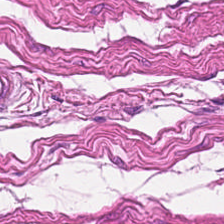H&E-stained tissue section; whole-slide-image patch. Muscularis.
